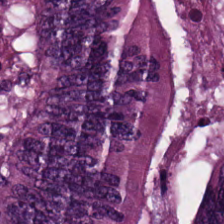Hematoxylin-and-eosin stained section.
Classification: colorectal adenocarcinoma epithelium.
